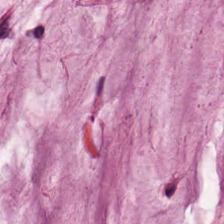Formalin-fixed paraffin-embedded section. H&E. Showing extracellular mucin.
